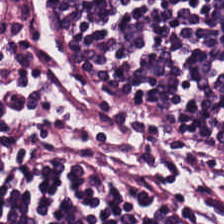Hematoxylin-and-eosin stained section.
The tissue here is lymphocytes.
